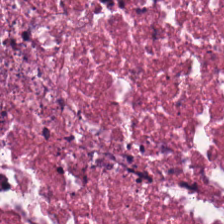Hematoxylin and eosin. 224×224 px tile. The tissue class is cellular debris.
